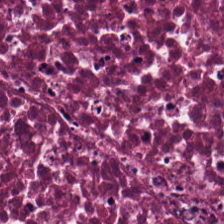Q: What does this patch show?
A: The field shows cellular debris.
